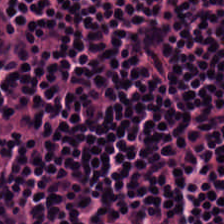This field is lymphocyte aggregate.
